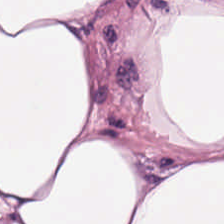224×224 px tile; H&E stain; FFPE.
Tissue class — adipocytes.
